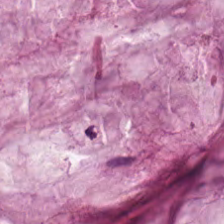Hematoxylin-and-eosin stained section. {"tissue_type": "mucus"}
